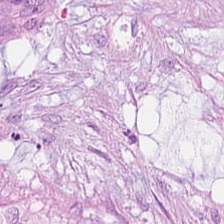Formalin-fixed paraffin-embedded section · hematoxylin and eosin — {"tissue_type": "malignant epithelium"}
